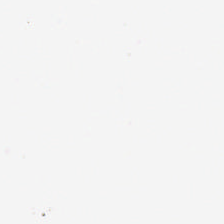Finding → background.
